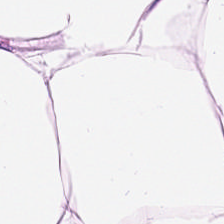Q: What is shown here?
A: The field shows adipocytes.
